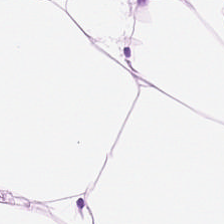Q: What is shown here?
A: It is adipose.
